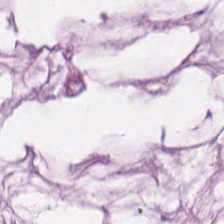H&E stain.
This patch shows mucus.
